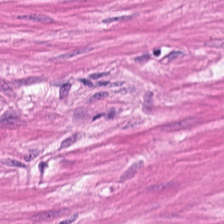Hematoxylin and eosin.
The tissue here is muscularis.
